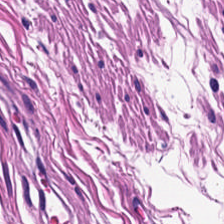Whole-slide-image patch · H&E stain · 224×224 px tile.
Q: What type of tissue is this?
A: Smooth-muscle tissue.
